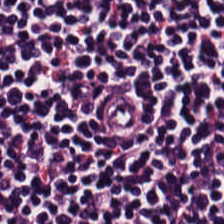FFPE tissue section · hematoxylin-and-eosin stained section · 20× equivalent magnification.
The tissue here is lymphocytes.
